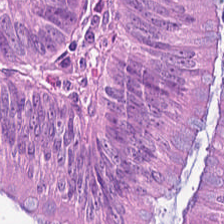Hematoxylin-and-eosin stained section. WSI patch.
Showing adenocarcinoma.
